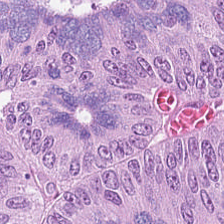224×224 px patch. H&E-stained tissue section. FFPE — Q: What is the predominant tissue type?
A: Malignant epithelium.
